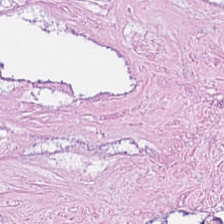H&E · 224×224 pixel tile.
Debris.
